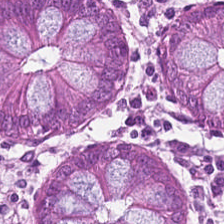Hematoxylin-and-eosin section: non-neoplastic colon mucosa.
